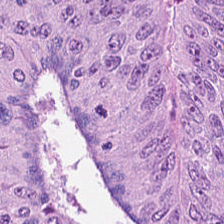Stain: hematoxylin-and-eosin stained section.
Preparation: FFPE tissue section.
Tile size: 224×224 pixel tile.
Tissue class: malignant epithelium.
